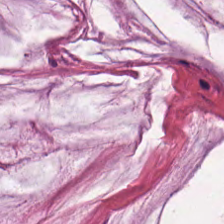0.5 µm per pixel; hematoxylin-and-eosin stained section.
Finding → mucus.
